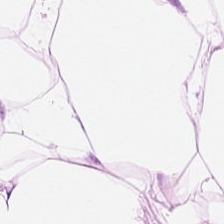This patch shows adipocytes.
